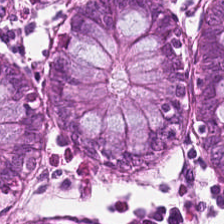Tissue type — benign colonic mucosa.
